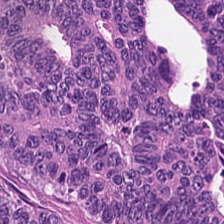H&E stain — The predominant tissue is colorectal adenocarcinoma.
